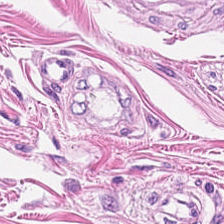Stain: H&E stain.
Tissue class: smooth-muscle tissue.
